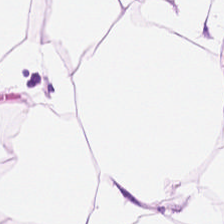H&E; FFPE tissue section; 20× equivalent magnification — Tissue type — adipose.
